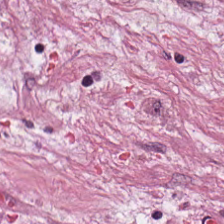224×224 px tile. H&E-stained tissue section. The tissue here is desmoplastic stroma.
